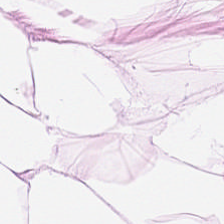Finding → adipose tissue.
